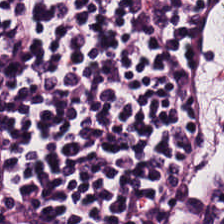H&E-stained tissue section; brightfield; FFPE tissue section. Finding → lymphocytic infiltrate.
